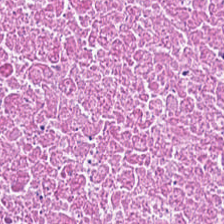Classification — debris.
